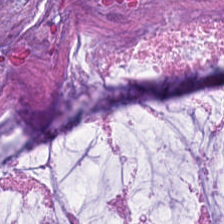0.5 µm per pixel. H&E-stained tissue section — This patch shows mucin.
